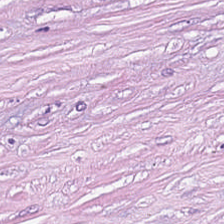The predominant tissue is tumor stroma.
